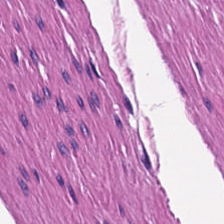Hematoxylin-and-eosin stained section — Impression → muscularis.
